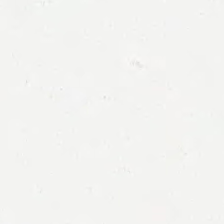H&E stain; WSI patch.
The field content is background (no tissue).
